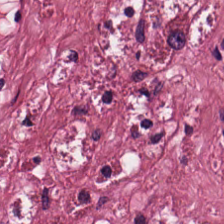Hematoxylin and eosin · 224×224 px tile — The predominant tissue is tumor stroma.
